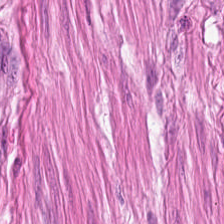Showing smooth-muscle tissue.
